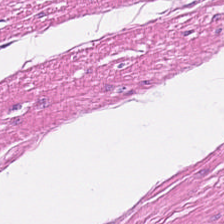Brightfield microscopy. Hematoxylin and eosin. 0.5 µm per pixel. The tissue type is smooth-muscle tissue.
